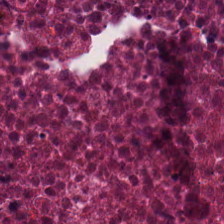H&E — Q: What type of tissue is this?
A: This is debris.
